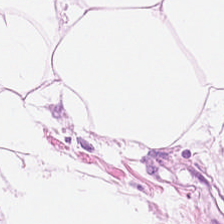224×224 pixel tile · hematoxylin and eosin · 0.5 microns per pixel — {"tissue_type": "adipocytes"}
